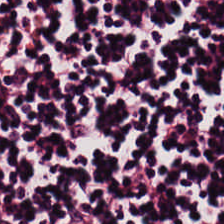Hematoxylin and eosin. {"tissue_type": "lymphocytic infiltrate"}
